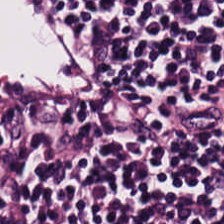Stain: hematoxylin-and-eosin stained section.
Predominant tissue: lymphoid infiltrate.
